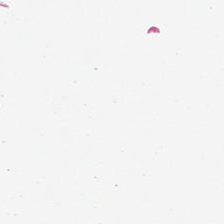Hematoxylin and eosin. Field content — background.
